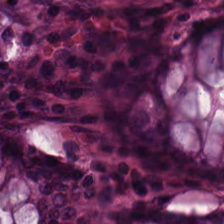Showing benign colonic mucosa.
